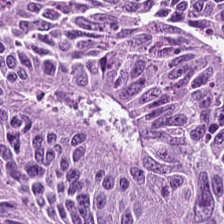Predominantly tumor epithelium.
